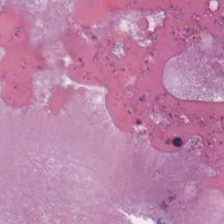Hematoxylin and eosin.
The tissue here is cellular debris.
